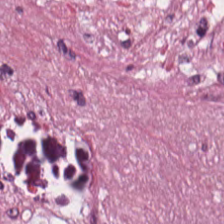H&E-stained tissue section — Tissue class — tumor-associated stroma.
